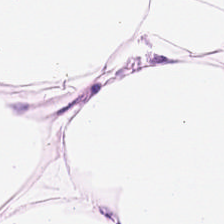Hematoxylin and eosin — Q: What is the predominant tissue type?
A: This is adipose tissue.
